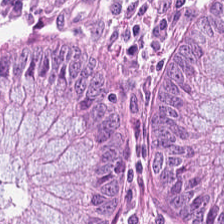Stain: H&E stain.
Tissue type: normal colon mucosa.
